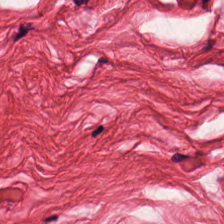Q: What is the predominant tissue type?
A: The field shows smooth muscle.
